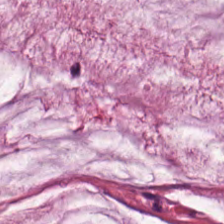Hematoxylin-and-eosin stained section. Classification = mucus.
